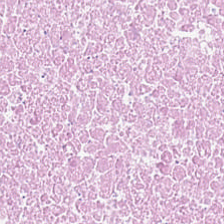Hematoxylin-and-eosin stained section; 0.5 µm/px — This field is debris.
